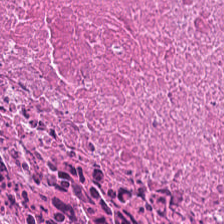Hematoxylin-and-eosin stained section. FFPE — Q: What is shown in this field?
A: Cellular debris.
